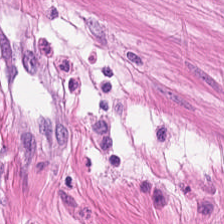This patch shows smooth-muscle tissue.
